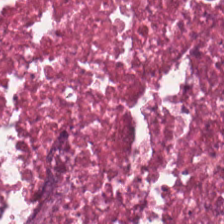0.5 microns per pixel · H&E stain — This field is debris.
